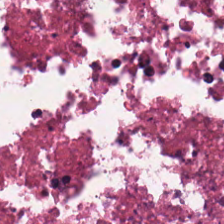Q: What type of tissue is this?
A: This is necrotic debris.
